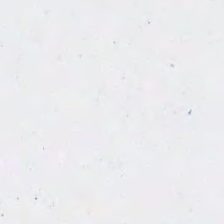Hematoxylin and eosin.
Empty background.
